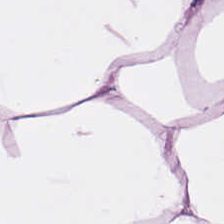H&E-stained tissue section.
Predominant tissue = fat tissue.
